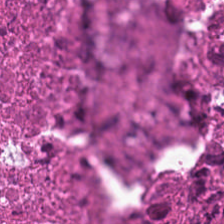224×224 pixel tile. Hematoxylin-and-eosin stained section.
Predominant tissue — necrotic debris.
